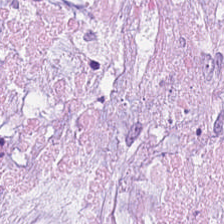Hematoxylin-and-eosin stained section.
{"tissue_type": "mucin"}
